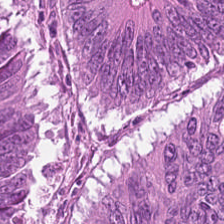Stain: H&E.
Predominant tissue: adenocarcinoma.
